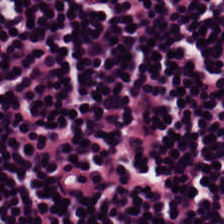H&E · WSI patch. Q: What is shown here?
A: It is lymphocyte aggregate.
